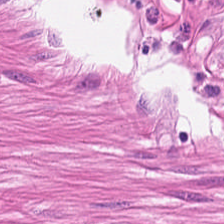224×224 px tile; FFPE tissue section; hematoxylin-and-eosin stained section. Tissue type — smooth-muscle tissue.
